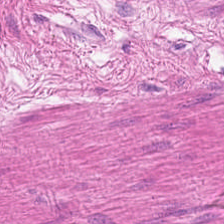Stain: H&E stain.
Tile size: 224×224 px patch.
Resolution: 0.5 microns per pixel.
Tissue: smooth muscle.
